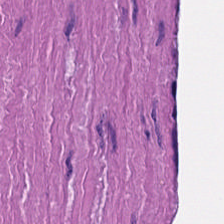Hematoxylin and eosin. The predominant tissue is smooth muscle.
